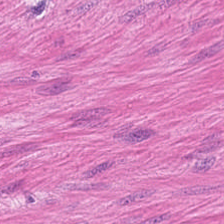H&E · FFPE tissue section · 20× equivalent magnification. The predominant tissue is smooth muscle.
